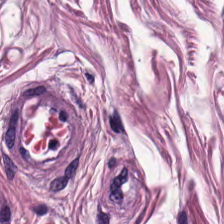The classification is muscularis.
